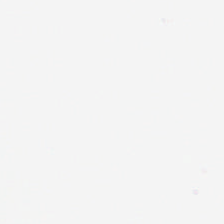Stain: H&E-stained tissue section.
Content: empty background.
